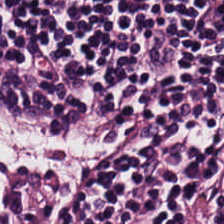Stain: H&E stain.
Classification: lymphocyte aggregate.
